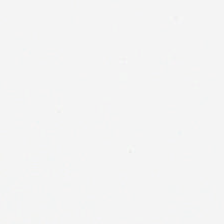FFPE; hematoxylin-and-eosin stained section — Content: background (no tissue).
